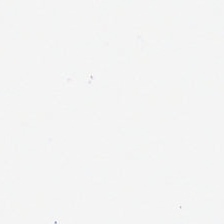Formalin-fixed paraffin-embedded section; H&E-stained tissue section. This field is background (no tissue).
